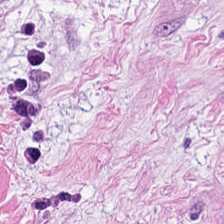Hematoxylin and eosin. The predominant tissue is tumor-associated stroma.
